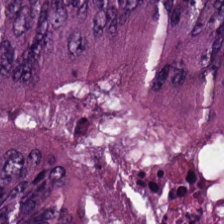224×224 px patch · hematoxylin and eosin · 20× equivalent magnification — Predominant tissue — tumor epithelium.
